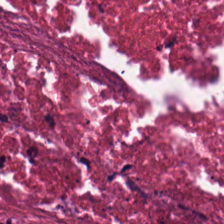H&E patch showing necrotic debris.
